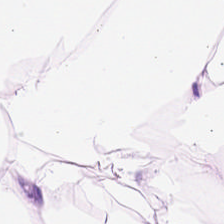Formalin-fixed paraffin-embedded section; hematoxylin and eosin; 0.5 microns per pixel. Q: What tissue type is shown here?
A: It is adipocytes.
